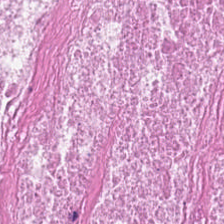Brightfield · 224×224 pixel tile · hematoxylin-and-eosin stained section.
Histology — cellular debris.
